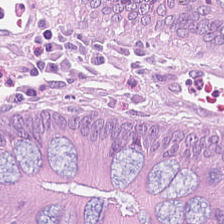Impression — normal colon mucosa.
